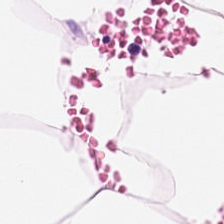H&E stain — Tissue type — fat tissue.
